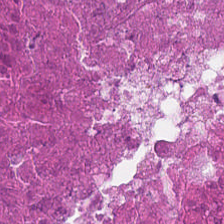224×224 px tile · brightfield microscopy · hematoxylin and eosin.
{"tissue_type": "debris"}
